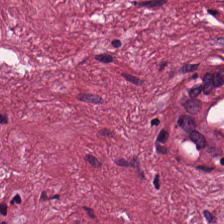Stain: H&E.
Preparation: FFPE.
Tissue: desmoplastic stroma.
